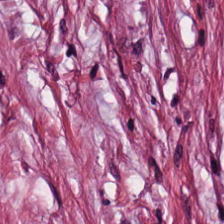20× equivalent magnification; hematoxylin and eosin — Tissue type: desmoplastic stroma.
